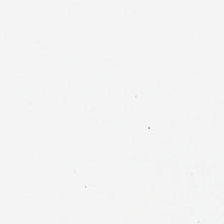H&E — Classification — background.
